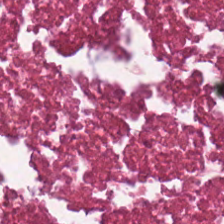H&E.
Showing debris.
